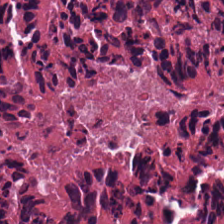Stain: H&E-stained tissue section.
Predominant tissue: cellular debris.
